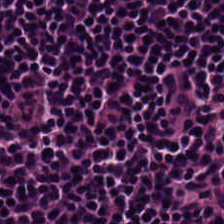Hematoxylin-and-eosin stained section.
Showing lymphoid infiltrate.
